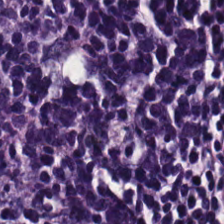H&E-stained tissue section.
Histology — lymphocytes.
